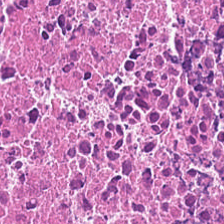Stain: H&E.
Preparation: FFPE tissue section.
Predominant tissue: debris.
